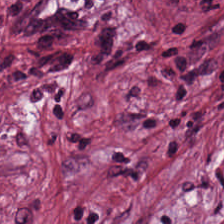0.5 microns per pixel. Formalin-fixed paraffin-embedded section. H&E stain. This field is desmoplastic stroma.
